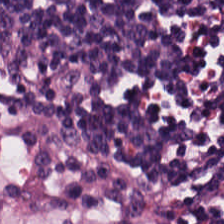H&E — Classification = lymphocytic infiltrate.
